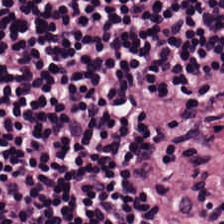H&E-stained section; the field shows lymphocytic infiltrate.
